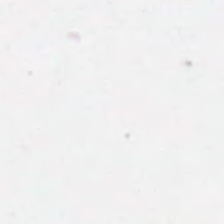H&E-stained tissue section.
Histology — empty background.
